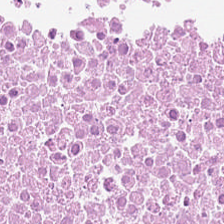FFPE · 0.5 µm per pixel · hematoxylin-and-eosin stained section.
Q: What tissue is shown?
A: Debris.
